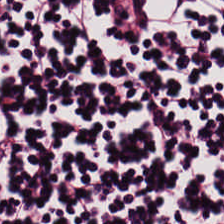H&E-stained tissue section. Finding — lymphoid infiltrate.
